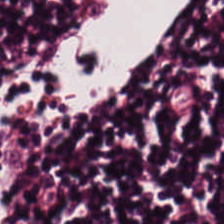224×224 pixel tile; hematoxylin-and-eosin stained section. The predominant tissue is lymphocytic infiltrate.
